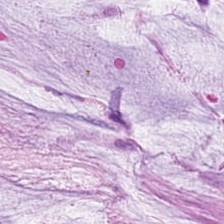The tissue here is extracellular mucin.
